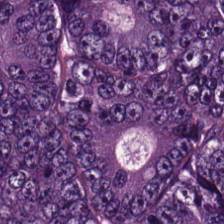Hematoxylin-and-eosin stained section. Tissue — colorectal adenocarcinoma epithelium.
